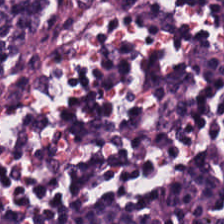H&E.
Q: Identify the tissue.
A: The field shows lymphoid infiltrate.
